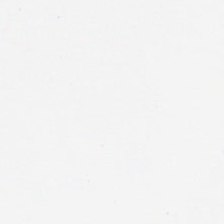H&E-stained tissue section.
Classification: background (no tissue).
